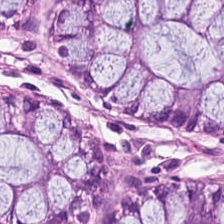Stain: hematoxylin and eosin.
Tissue type: normal colonic mucosa.
